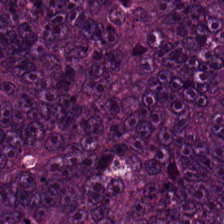Whole-slide-image patch. Hematoxylin-and-eosin stained section — Q: What tissue type is shown here?
A: It is colorectal adenocarcinoma.
